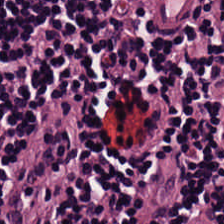0.5 microns per pixel · H&E stain · whole-slide-image patch. Predominantly lymphocytic infiltrate.
